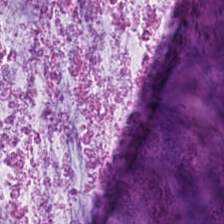Hematoxylin and eosin · FFPE — Predominantly extracellular mucin.
